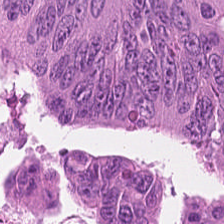Formalin-fixed paraffin-embedded section; H&E-stained tissue section; brightfield microscopy. Showing tumor epithelium.
